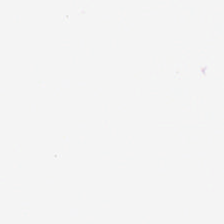Q: What is shown here?
A: Background (no tissue).
